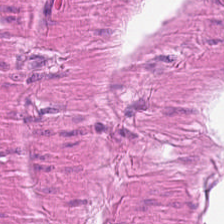224×224 px patch. H&E stain.
This patch shows smooth muscle.
